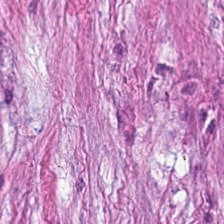H&E — tumor stroma.
